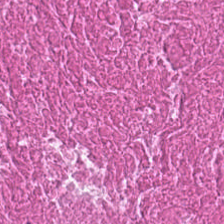The tissue here is debris.
